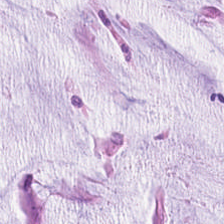H&E · 20× equivalent magnification · 224×224 px patch — This patch shows mucin.
